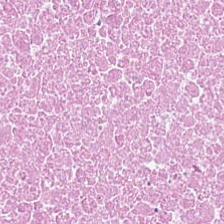Hematoxylin-and-eosin stained section.
Tissue: debris.
